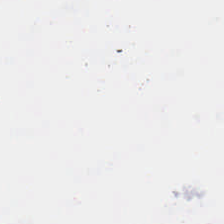Q: What is shown here?
A: No tissue.
